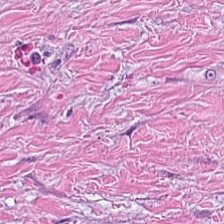H&E — Finding — tumor stroma.
